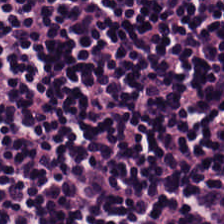Hematoxylin and eosin. 0.5 µm per pixel. Brightfield microscopy.
Q: Classify this patch.
A: It is lymphocyte aggregate.
